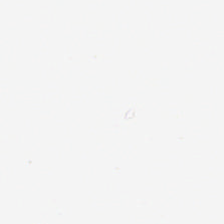H&E-stained tissue section.
This patch shows background.
